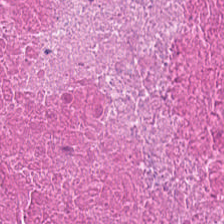H&E-stained tissue section. Brightfield.
{"tissue_type": "necrotic debris"}
